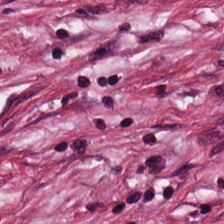Formalin-fixed paraffin-embedded section; hematoxylin-and-eosin stained section; brightfield. Q: What is shown here?
A: This is cancer-associated stroma.
